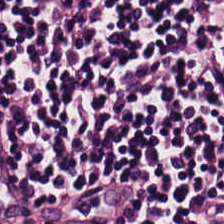H&E stain.
Predominantly lymphocytic infiltrate.
